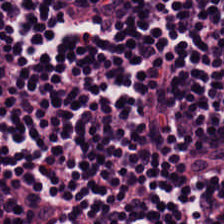H&E · 20× equivalent magnification — Impression → lymphoid infiltrate.
